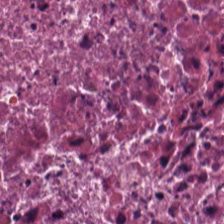H&E stain — Classification — cellular debris.
